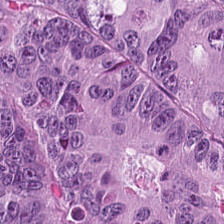Stain: hematoxylin and eosin.
Resolution: 20× equivalent magnification.
Tissue type: colorectal adenocarcinoma.
